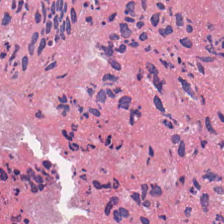H&E stain; whole-slide-image patch; 224×224 px patch. The tissue type is necrotic debris.
